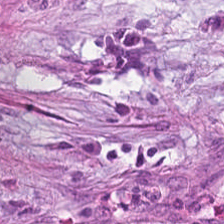H&E-stained tissue section — Finding — desmoplastic stroma.
